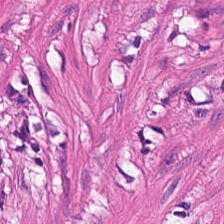Stain: H&E-stained tissue section.
Preparation: FFPE.
Tile size: 224×224 pixel tile.
Classification: smooth-muscle tissue.
